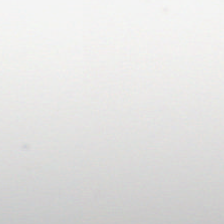H&E. Empty field — background (no tissue).
